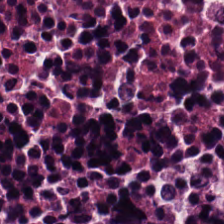Predominant tissue = necrotic debris.
